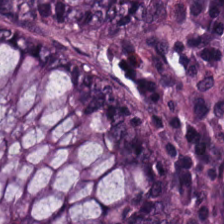Hematoxylin and eosin. Showing normal colonic mucosa.
